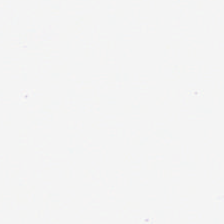Hematoxylin and eosin · 224×224 px patch.
Background — no tissue in this field.
